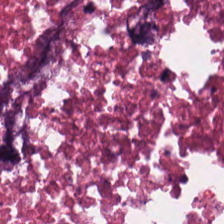Stain: H&E-stained tissue section.
Tissue: debris.
